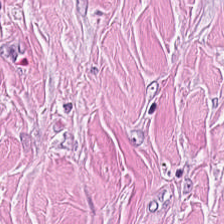Hematoxylin-and-eosin stained section. Brightfield microscopy. 224×224 px tile. This patch shows desmoplastic stroma.
